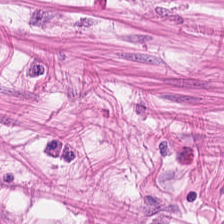H&E-stained tissue section · brightfield · 0.5 µm per pixel — Predominant tissue: smooth-muscle tissue.
